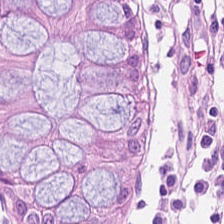{"tissue_type": "benign colonic mucosa"}
